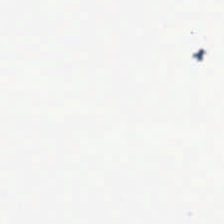Stain: hematoxylin-and-eosin stained section.
Content: empty background.
